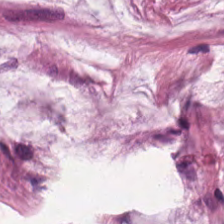Hematoxylin and eosin. 0.5 microns per pixel. Whole-slide-image patch — This patch shows mucus.
